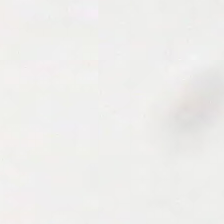Stain: H&E-stained tissue section.
Acquisition: WSI patch.
Content: background (no tissue).
